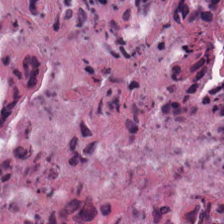H&E stain; 224×224 pixel tile; FFPE — This patch shows debris.
